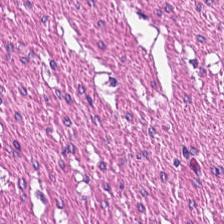Stain: hematoxylin and eosin.
Tissue: smooth muscle.
